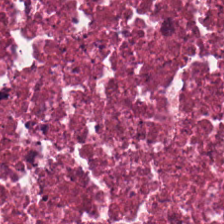Stain: hematoxylin-and-eosin stained section.
Classification: debris.
